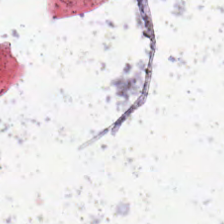No tissue present; background only.
